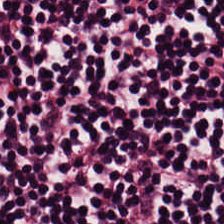H&E stain. FFPE tissue section. Tissue class: lymphocytes.
